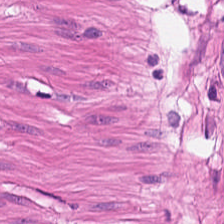Hematoxylin-and-eosin stained section · FFPE — The classification is smooth muscle.
